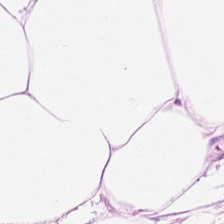H&E. Impression → adipocytes.
